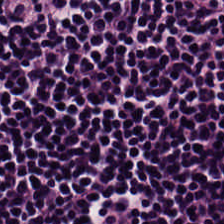WSI patch; H&E-stained tissue section.
Showing lymphocytes.
